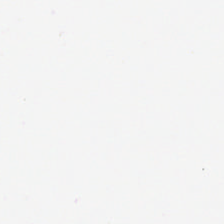Hematoxylin-and-eosin stained section.
Field content: no tissue.
